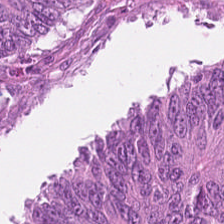H&E; FFPE. Q: What is shown here?
A: It is adenocarcinoma.
